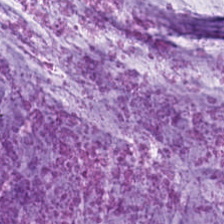Brightfield microscopy · H&E stain — Extracellular mucin.
